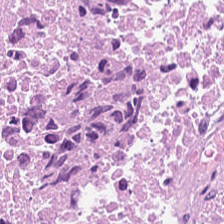Hematoxylin and eosin. FFPE — The predominant tissue is debris.
